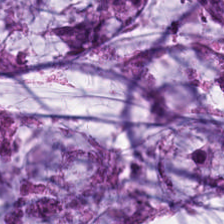Tissue: mucin.
